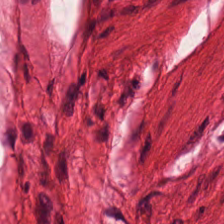H&E stain. 0.5 µm per pixel — {"tissue_type": "smooth-muscle tissue"}
